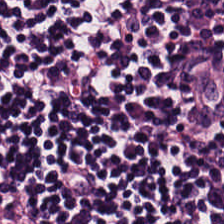0.5 µm per pixel; 224×224 px patch; hematoxylin and eosin.
Q: What tissue is shown?
A: This is lymphocytic infiltrate.
